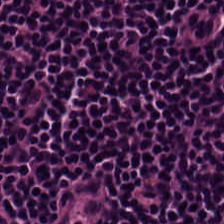Stain: H&E-stained tissue section.
Resolution: 0.5 µm per pixel.
Tissue class: lymphocytic infiltrate.
